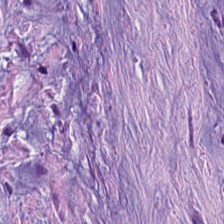H&E · whole-slide-image patch · formalin-fixed paraffin-embedded section. The tissue is tumor-associated stroma.
